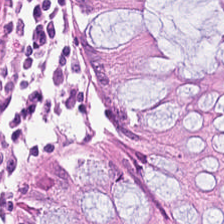H&E stain. Non-neoplastic colon mucosa.
